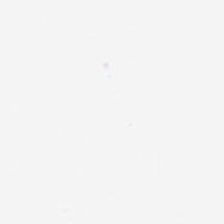Field content = no tissue.
